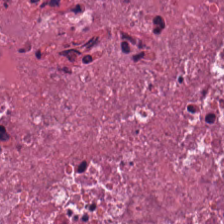Brightfield · H&E-stained tissue section — The predominant tissue is debris.
